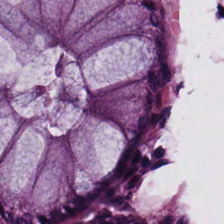Brightfield; H&E; formalin-fixed paraffin-embedded section. This field is normal colonic mucosa.
